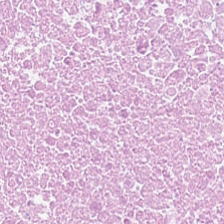The tissue class is debris.
